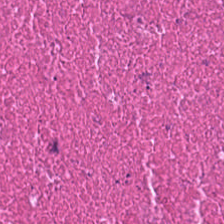Hematoxylin-and-eosin stained section.
Q: What is the predominant tissue type?
A: The field shows cellular debris.
